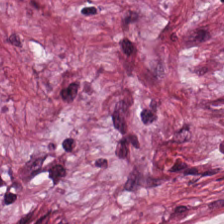{"tissue_type": "cancer-associated stroma"}
